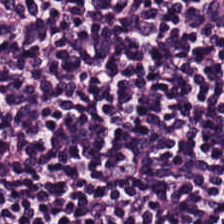Hematoxylin and eosin · FFPE — Tissue type — lymphocyte aggregate.
